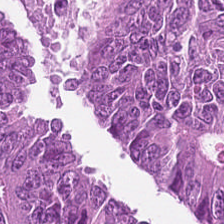H&E — Impression → colorectal adenocarcinoma.
